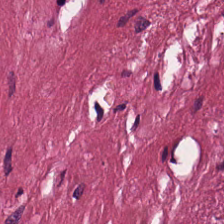Hematoxylin-and-eosin section: cancer-associated stroma.
